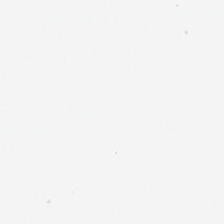Empty field — no tissue.
